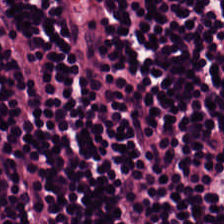20× equivalent magnification · WSI patch · hematoxylin and eosin — Q: What is the predominant tissue type?
A: It is lymphocytic infiltrate.
